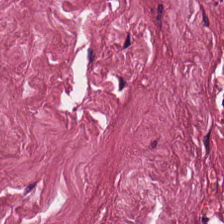H&E — Desmoplastic stroma.
